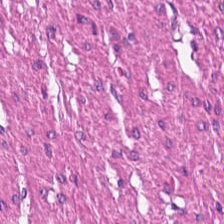H&E stain.
Tissue = smooth muscle.
